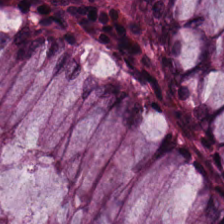{"tissue_type": "normal colon mucosa"}
